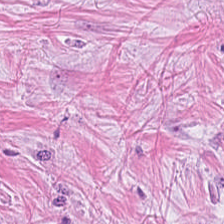Finding — cancer-associated stroma.
